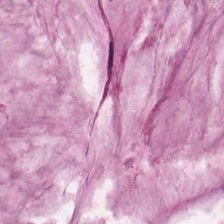H&E-stained tissue section.
This field is extracellular mucin.
